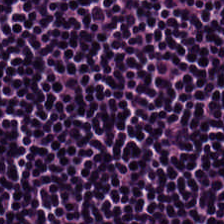H&E · 224×224 px tile · brightfield. The predominant tissue is lymphocyte aggregate.
